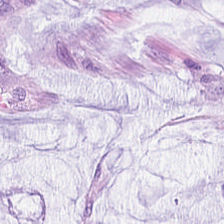Hematoxylin and eosin. Predominantly extracellular mucin.
